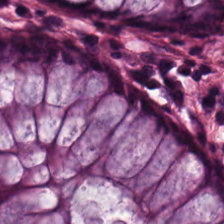Stain: H&E.
Tissue: normal colonic mucosa.
